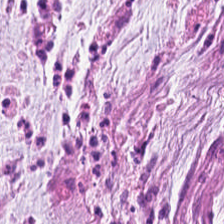0.5 µm per pixel · hematoxylin and eosin. Mucin.
